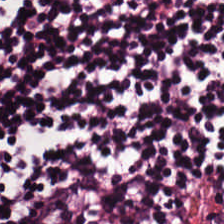H&E stain; FFPE. Tissue class — lymphocytic infiltrate.
